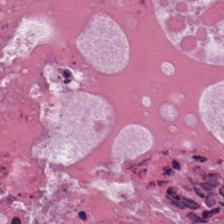Q: What type of tissue is this?
A: Cellular debris.
